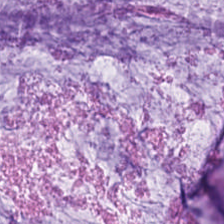The tissue type is extracellular mucin.
